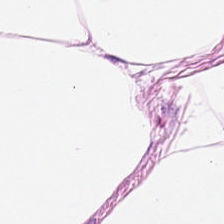H&E stain — Q: What type of tissue is this?
A: This is adipose tissue.
